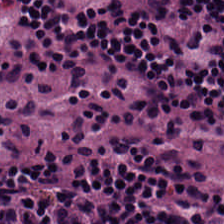Tissue type = lymphoid infiltrate.
